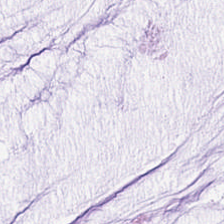Q: What type of tissue is this?
A: This is mucus.
